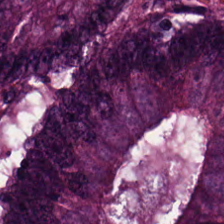Hematoxylin-and-eosin stained section · 224×224 px tile. Tissue class: adenocarcinoma.
